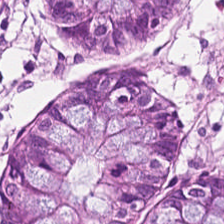Brightfield. Hematoxylin-and-eosin stained section — Finding → normal colon mucosa.
